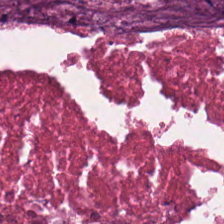Hematoxylin-and-eosin stained section. FFPE.
Classification — necrotic debris.
